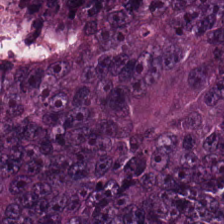H&E stain.
Q: What tissue type is shown here?
A: Tumor epithelium.
